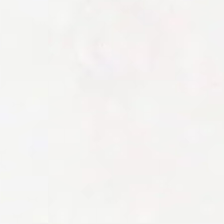H&E-stained tissue section — {"content": "background"}
